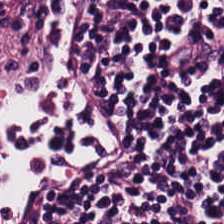H&E · brightfield microscopy. This field is lymphoid infiltrate.
